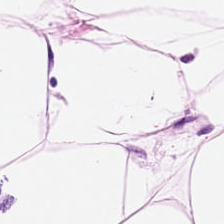Hematoxylin-and-eosin stained section — Q: Classify this patch.
A: The field shows adipose tissue.
